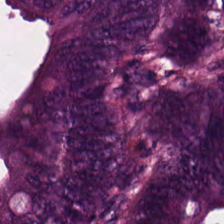Hematoxylin and eosin · brightfield microscopy.
Q: What tissue is shown?
A: The field shows adenocarcinoma.
